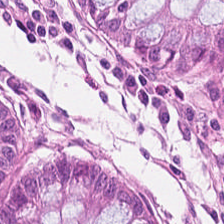H&E stain.
This patch shows normal colonic mucosa.
